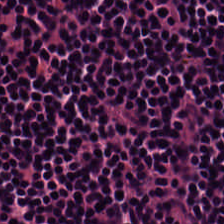Q: What type of tissue is this?
A: This is lymphocytic infiltrate.
